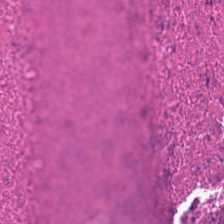H&E; FFPE tissue section — Tissue = necrotic debris.
